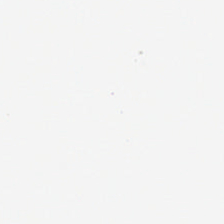0.5 µm per pixel; H&E stain.
Content: background.
